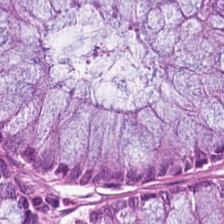224×224 px patch. Hematoxylin and eosin — This field is normal colon mucosa.
